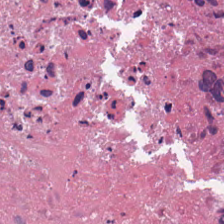H&E. 224×224 px patch.
This patch shows debris.
